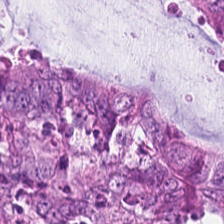H&E.
Classification: colorectal adenocarcinoma epithelium.
